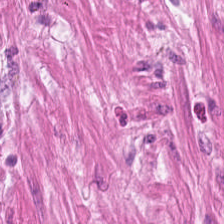Brightfield. H&E — This field is smooth-muscle tissue.
